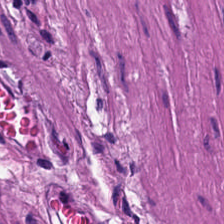FFPE; H&E stain — Predominantly muscularis.
